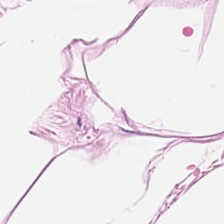H&E. Predominantly adipocytes.
